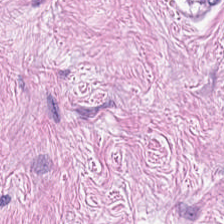H&E-stained tissue section. This patch shows tumor stroma.
